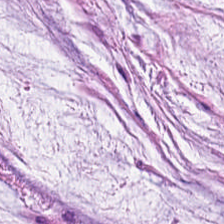Q: What is the predominant tissue type?
A: This is extracellular mucin.
